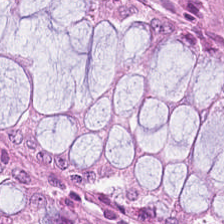Predominantly normal colonic mucosa.
